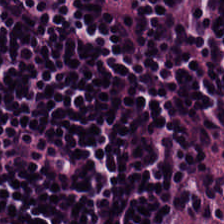Brightfield microscopy. H&E stain. 224×224 px tile — Showing lymphocyte aggregate.
